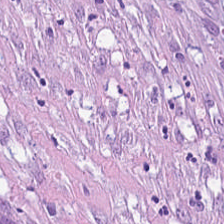Hematoxylin and eosin.
Tissue — tumor stroma.
